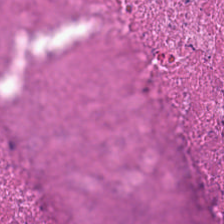H&E stain.
Predominant tissue — cellular debris.
